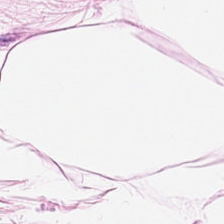Hematoxylin and eosin. The tissue here is adipocytes.
